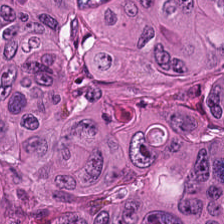Hematoxylin-and-eosin stained section — This patch shows adenocarcinoma.
